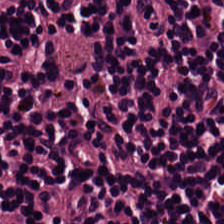H&E-stained tissue section; 0.5 microns per pixel; FFPE tissue section — Q: What tissue type is shown here?
A: The field shows lymphocyte aggregate.
